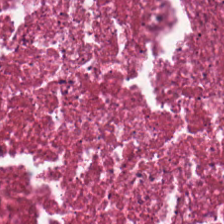The tissue is cellular debris.
